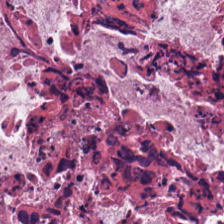Hematoxylin-and-eosin stained section.
Q: Identify the tissue.
A: Cellular debris.
